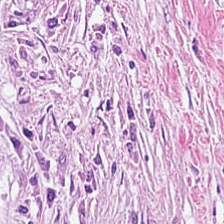Stain: H&E-stained tissue section.
Classification: cancer-associated stroma.
